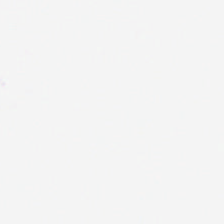Stain: H&E.
Field content: background.
